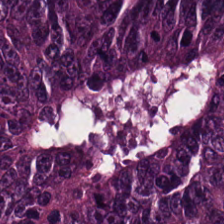224×224 px patch · H&E-stained tissue section. {"tissue_type": "colorectal adenocarcinoma epithelium"}
